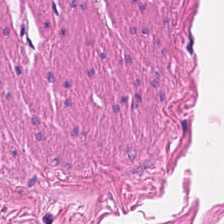H&E-stained tissue section — Q: What tissue type is shown here?
A: The field shows smooth-muscle tissue.
